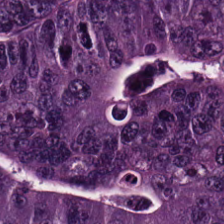H&E stain. FFPE tissue section — The tissue here is colorectal adenocarcinoma epithelium.
